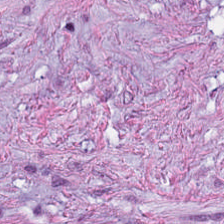0.5 µm/px. Hematoxylin and eosin. Q: What is the predominant tissue type?
A: It is cancer-associated stroma.
